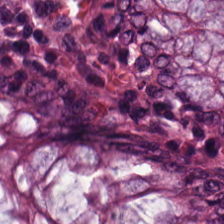Hematoxylin-and-eosin section: normal colon mucosa.
